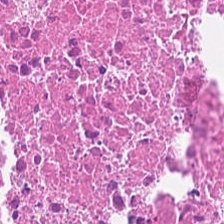Finding → necrotic debris.
